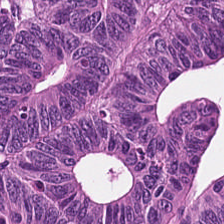Stain: H&E-stained tissue section.
Tissue type: adenocarcinoma.
